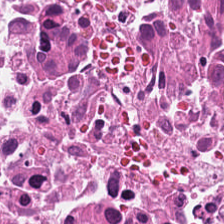20× equivalent magnification. Hematoxylin and eosin.
This patch shows cellular debris.
